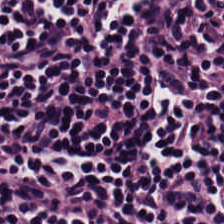H&E-stained tissue section — The tissue here is lymphocytic infiltrate.
